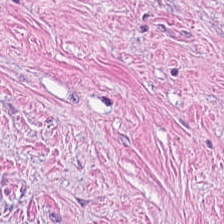H&E-stained tissue section. The tissue here is tumor stroma.
